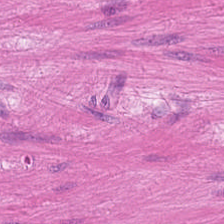H&E-stained tissue section. FFPE tissue section.
Impression — muscularis.
